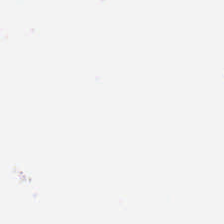Stain: H&E stain.
Content: no tissue.
